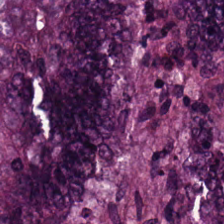Stain: H&E-stained tissue section.
Predominant tissue: tumor epithelium.
